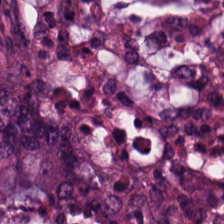The predominant tissue is colorectal adenocarcinoma epithelium.
